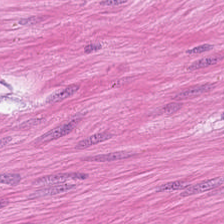Stain: H&E-stained tissue section.
Tissue: smooth-muscle tissue.
